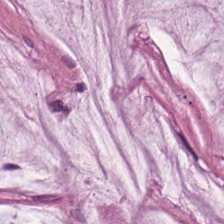H&E. FFPE.
This field is extracellular mucin.
